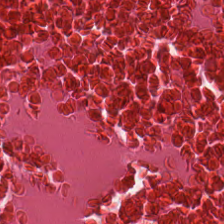Q: What is the predominant tissue type?
A: The field shows cellular debris.
